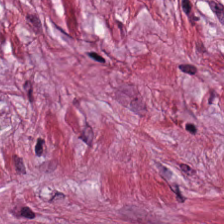0.5 microns per pixel; H&E stain.
Showing desmoplastic stroma.
